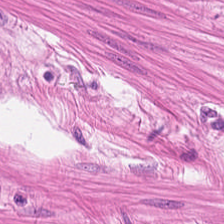Hematoxylin-and-eosin stained section. 0.5 microns per pixel.
This patch shows smooth muscle.
